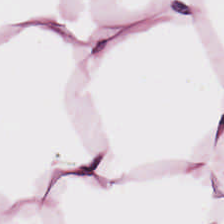224×224 px tile; H&E.
Classification — adipocytes.
